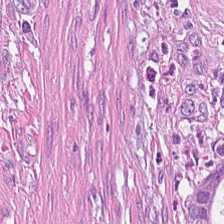Stain: hematoxylin and eosin.
Resolution: 20× equivalent magnification.
Tissue type: tumor stroma.
